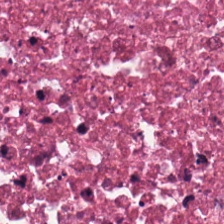Hematoxylin-and-eosin stained section · 20× equivalent magnification.
Tissue = debris.
